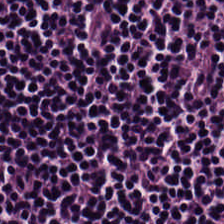H&E. FFPE. Whole-slide-image patch — Showing lymphocytes.
